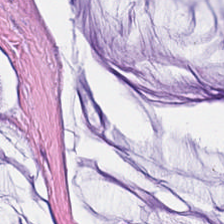Brightfield. 224×224 px patch. H&E-stained tissue section.
The classification is mucus.
